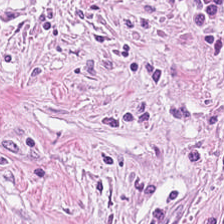H&E-stained tissue section.
Q: What is the predominant tissue type?
A: The field shows cancer-associated stroma.
